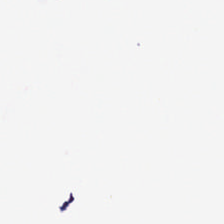Content: background.
